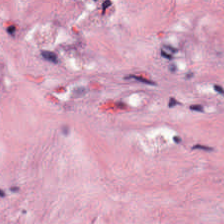Impression — cancer-associated stroma.
